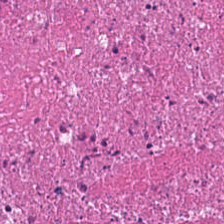The tissue class is necrotic debris.
